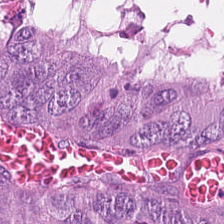Tissue: colorectal adenocarcinoma epithelium.
